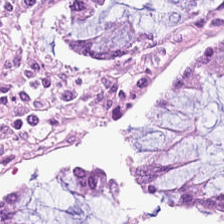Hematoxylin-and-eosin stained section.
Non-neoplastic colon mucosa.
